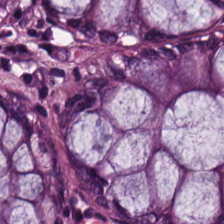H&E stain. The tissue here is normal colonic mucosa.
